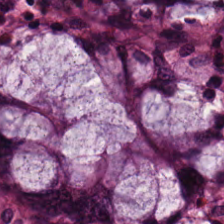H&E. FFPE tissue section.
Histology — benign colonic mucosa.
